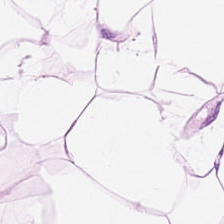H&E-stained tissue section. 0.5 microns per pixel. Q: What tissue type is shown here?
A: Adipose tissue.
